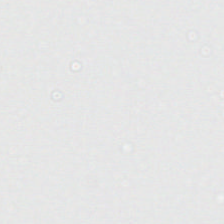0.5 µm per pixel · H&E-stained tissue section. Content = background (no tissue).
